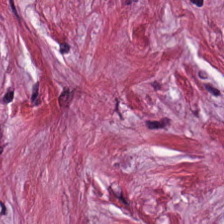FFPE tissue section · H&E — Q: What type of tissue is this?
A: It is tumor stroma.
